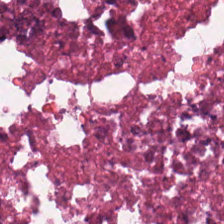H&E — cellular debris.
